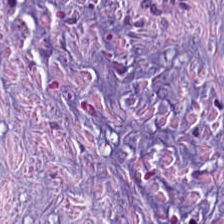Hematoxylin-and-eosin stained section. 0.5 µm per pixel. Whole-slide-image patch — Classification — desmoplastic stroma.
